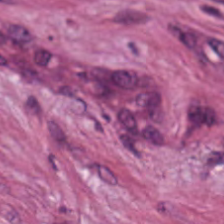Brightfield; formalin-fixed paraffin-embedded section; H&E — This patch shows desmoplastic stroma.
